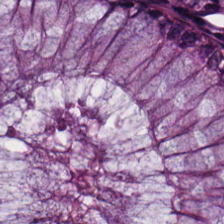H&E.
Predominant tissue = normal colon mucosa.
